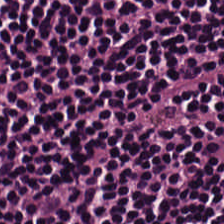Q: What is shown in this field?
A: It is lymphoid infiltrate.
